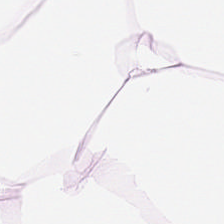The tissue type is adipose tissue.
